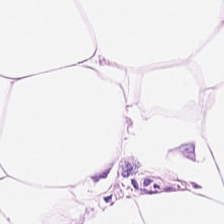Stain: H&E-stained tissue section.
Resolution: 0.5 µm per pixel.
Tissue: adipose tissue.
